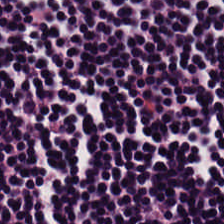0.5 µm/px; H&E stain; 224×224 pixel tile.
The predominant tissue is lymphocytes.
